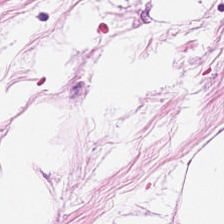Stain: H&E-stained tissue section.
Predominant tissue: adipose.
